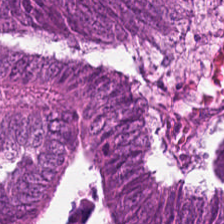Hematoxylin-and-eosin stained section — Finding — colorectal adenocarcinoma.
